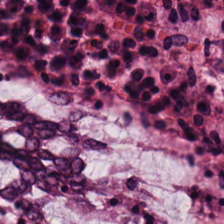Hematoxylin-and-eosin stained section — The tissue class is non-neoplastic colon mucosa.
